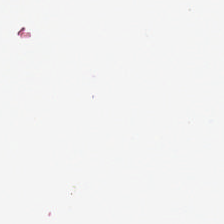FFPE tissue section; H&E. Q: Classify this patch.
A: No tissue.
